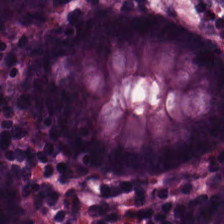H&E stain — Tissue type: normal colonic mucosa.
